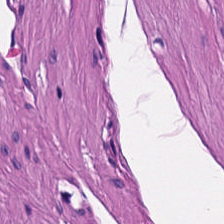H&E. Tissue class: smooth-muscle tissue.
